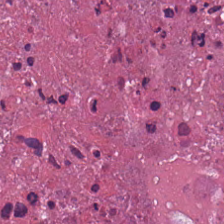0.5 µm/px; hematoxylin-and-eosin stained section.
Tissue type = necrotic debris.
